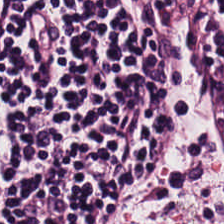The predominant tissue is lymphocytes.
